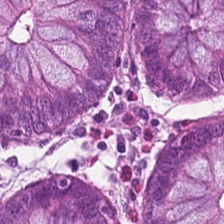Whole-slide-image patch. FFPE. H&E. Normal colon mucosa.
